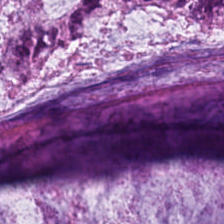Hematoxylin-and-eosin stained section. The tissue type is mucin.
